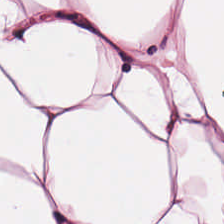Hematoxylin and eosin — This field is adipocytes.
